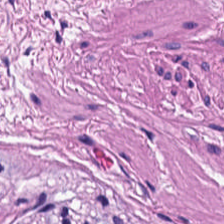Brightfield microscopy · hematoxylin and eosin — Q: What does this patch show?
A: The field shows smooth-muscle tissue.
